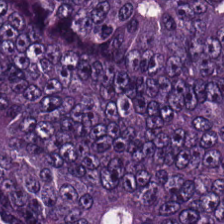Hematoxylin-and-eosin stained section — This patch shows tumor epithelium.
